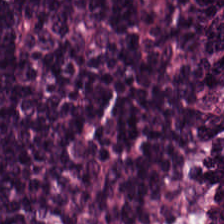0.5 microns per pixel. WSI patch. H&E-stained tissue section. Q: What tissue type is shown here?
A: The field shows lymphocytic infiltrate.
